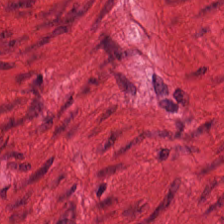Q: Classify this patch.
A: Smooth muscle.
